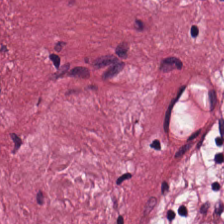0.5 µm/px; FFPE; H&E. This field is tumor stroma.
